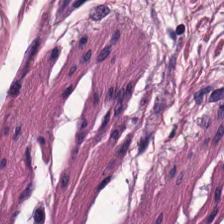Q: What does this patch show?
A: This is smooth-muscle tissue.
